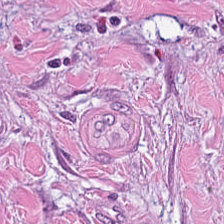H&E stain; 224×224 px tile.
The tissue type is tumor-associated stroma.
